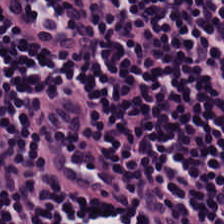H&E — The predominant tissue is lymphocytic infiltrate.
